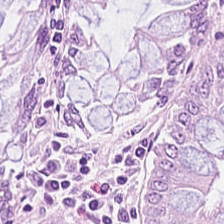Hematoxylin-and-eosin stained section. Benign colonic mucosa.
